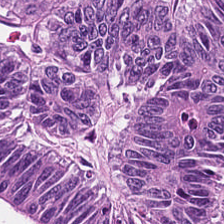Hematoxylin-and-eosin stained section — Histology — colorectal adenocarcinoma.
